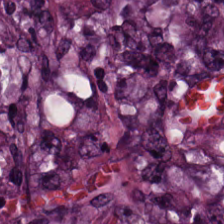Tissue: adenocarcinoma.
